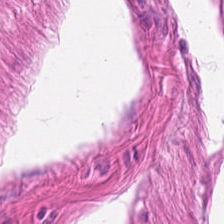H&E — The tissue here is smooth muscle.
